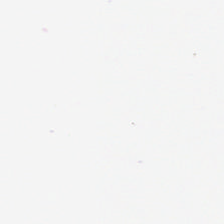H&E-stained tissue section — Field content: background.
